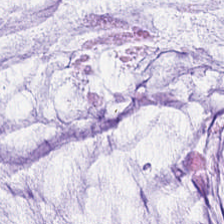Q: What type of tissue is this?
A: Extracellular mucin.
